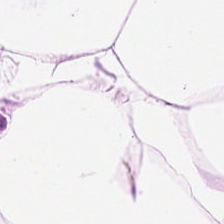Hematoxylin and eosin; 224×224 pixel tile. Adipose tissue.
